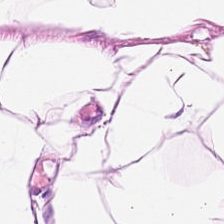224×224 pixel tile · hematoxylin and eosin.
The tissue here is adipose.
